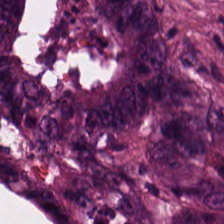Impression → colorectal adenocarcinoma epithelium.
